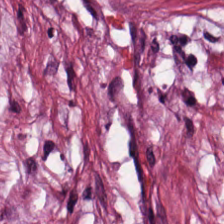Hematoxylin and eosin — Tissue class — tumor-associated stroma.
